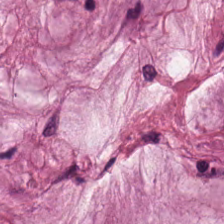H&E-stained tissue section — Mucus.
